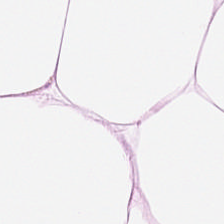Q: Identify the tissue.
A: The field shows adipose.
